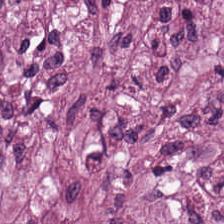The classification is tumor-associated stroma.
